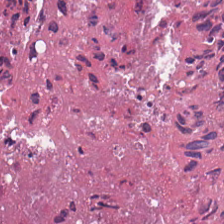H&E; 224×224 px patch. The predominant tissue is necrotic debris.
